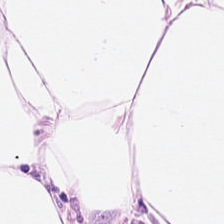224×224 px tile. 0.5 µm per pixel. Hematoxylin and eosin — The predominant tissue is adipose.
